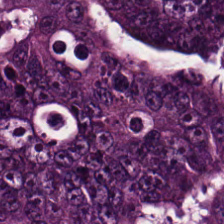Q: What type of tissue is this?
A: Colorectal adenocarcinoma epithelium.
